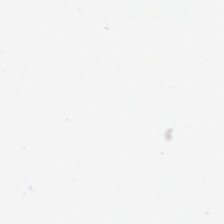Classification = background (no tissue).
